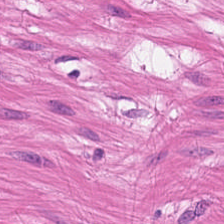H&E-stained tissue section. Q: What is shown here?
A: This is smooth muscle.
